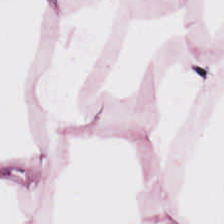Tissue class — adipocytes.
